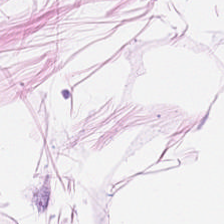H&E-stained tissue section — Histology → fat tissue.
